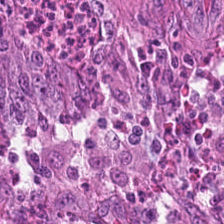The predominant tissue is colorectal adenocarcinoma epithelium.
